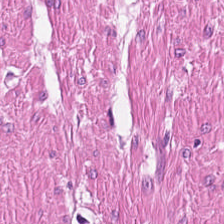Q: What is shown in this field?
A: This is smooth-muscle tissue.
